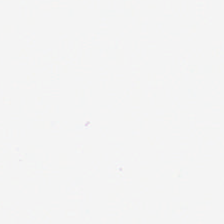Stain: hematoxylin and eosin.
Preparation: FFPE tissue section.
Classification: empty background.
